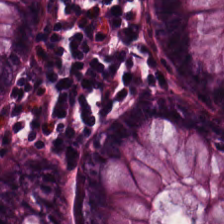H&E-stained section; the field shows non-neoplastic colon mucosa.
